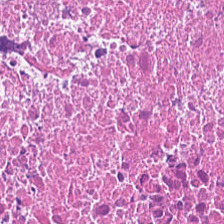Hematoxylin and eosin.
Q: Classify this patch.
A: This is necrotic debris.
